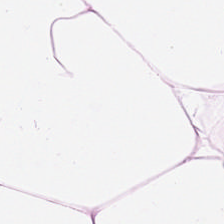Hematoxylin and eosin. Tissue type — adipose.
